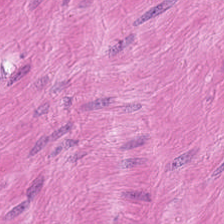Hematoxylin-and-eosin stained section · FFPE · 224×224 px tile.
Smooth-muscle tissue.
